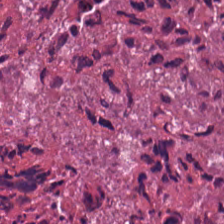0.5 microns per pixel; hematoxylin-and-eosin stained section; 224×224 px patch — Classification = debris.
